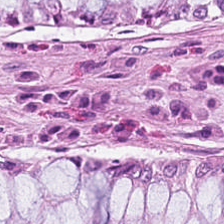H&E-stained tissue section — Tissue type = non-neoplastic colon mucosa.
